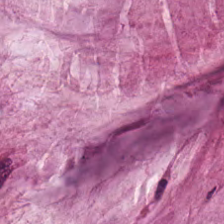H&E stain — This field is mucin.
